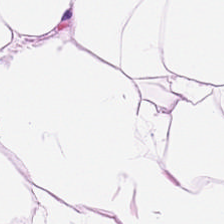H&E-stained section; the field shows adipose tissue.
